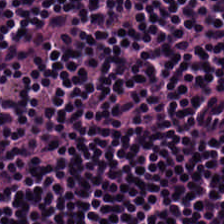Whole-slide-image patch; hematoxylin-and-eosin stained section — This field is lymphocyte aggregate.
